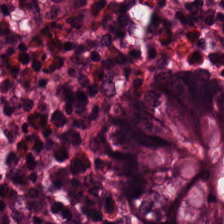0.5 microns per pixel · hematoxylin-and-eosin stained section · whole-slide-image patch. Tissue — benign colonic mucosa.
